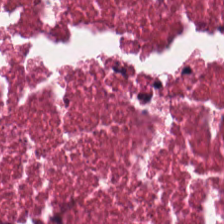H&E-stained tissue section · brightfield microscopy — Classification = necrotic debris.
